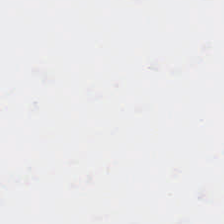H&E. This patch shows empty background.
